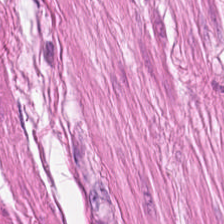224×224 px tile; 20× equivalent magnification; H&E stain.
Muscularis.
